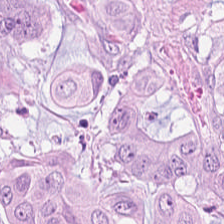Hematoxylin-and-eosin stained section; 0.5 µm/px. Q: What type of tissue is this?
A: Tumor epithelium.
